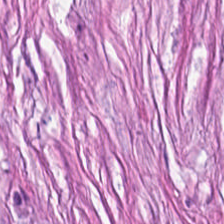H&E. The predominant tissue is cancer-associated stroma.
